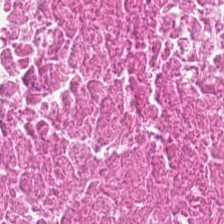H&E. 224×224 px patch.
Tissue = necrotic debris.
